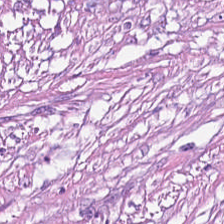H&E stain · 0.5 µm per pixel — Q: What type of tissue is this?
A: It is tumor-associated stroma.
